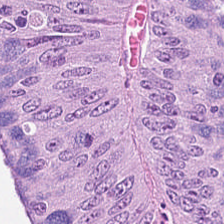H&E stain. 224×224 px patch. 0.5 µm/px — Q: What tissue type is shown here?
A: Colorectal adenocarcinoma epithelium.
